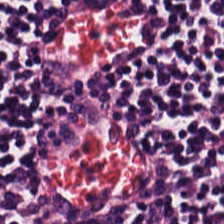Hematoxylin and eosin — This field is lymphocyte aggregate.
